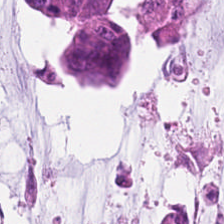The predominant tissue is extracellular mucin.
